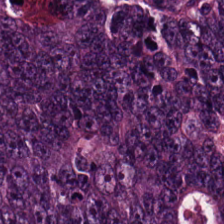H&E stain. 0.5 microns per pixel. Q: What does this patch show?
A: This is colorectal adenocarcinoma epithelium.
